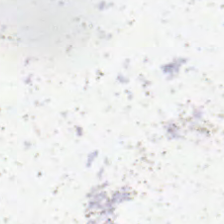Field content — no tissue.
